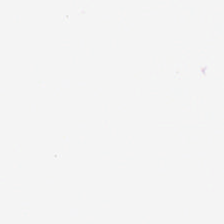No tissue present; background only.
